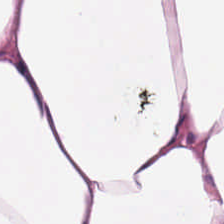0.5 µm per pixel; FFPE; H&E-stained tissue section. Predominantly fat tissue.
